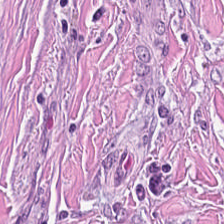H&E.
Tumor stroma.
